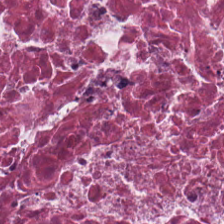Hematoxylin and eosin · formalin-fixed paraffin-embedded section.
The tissue is necrotic debris.
